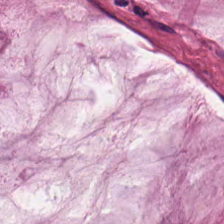Hematoxylin-and-eosin stained section.
The classification is mucus.
